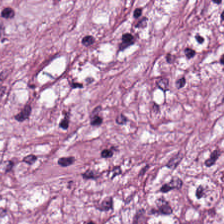H&E stain.
This patch shows desmoplastic stroma.
